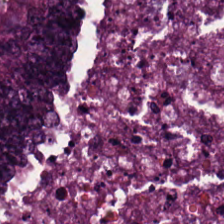0.5 microns per pixel; H&E — Q: What type of tissue is this?
A: It is colorectal adenocarcinoma.
